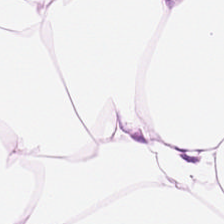Predominantly adipocytes.
